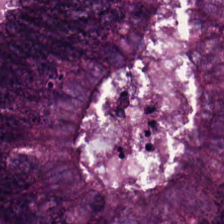H&E. Predominant tissue = adenocarcinoma.
